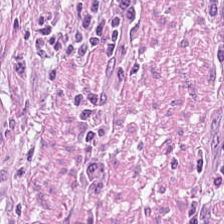H&E stain · 0.5 µm/px.
{"tissue_type": "desmoplastic stroma"}
